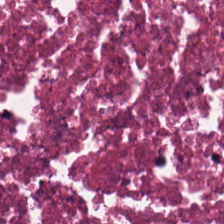Q: Classify this patch.
A: This is necrotic debris.
